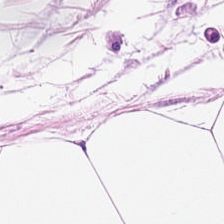H&E stain · brightfield. {"tissue_type": "adipocytes"}
